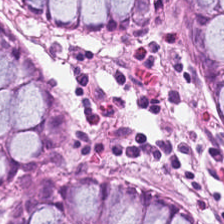H&E stain. 0.5 µm/px — Tissue class: normal colon mucosa.
